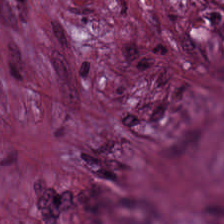0.5 microns per pixel. Brightfield. H&E — This field is cancer-associated stroma.
